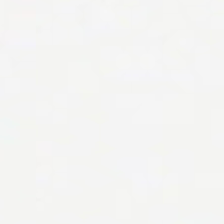Hematoxylin-and-eosin stained section. Brightfield microscopy — Empty field — background.
